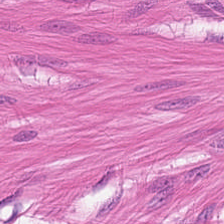H&E.
{"tissue_type": "smooth muscle"}
